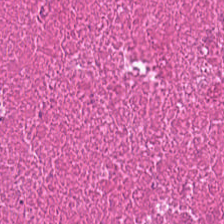Stain: hematoxylin-and-eosin stained section.
Classification: necrotic debris.
